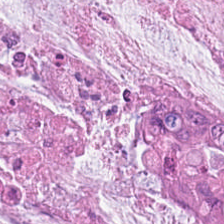H&E-stained tissue section; FFPE tissue section — Tissue type — mucus.
